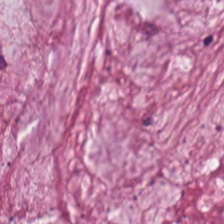H&E. Q: What is shown here?
A: The field shows extracellular mucin.
